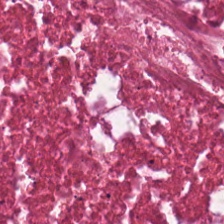Formalin-fixed paraffin-embedded section. Hematoxylin and eosin.
Q: What tissue type is shown here?
A: Cellular debris.
